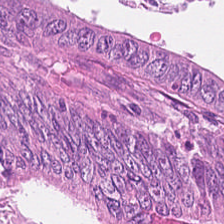Stain: H&E stain.
Tissue class: tumor epithelium.
